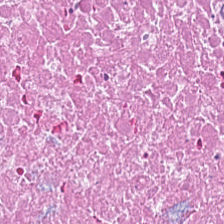FFPE tissue section · H&E · 224×224 pixel tile — Predominantly debris.
